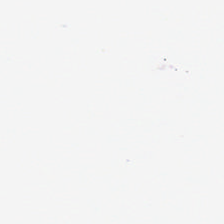No tissue present; background only.
